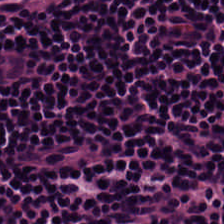FFPE. Hematoxylin-and-eosin stained section. Q: Classify this patch.
A: Lymphoid infiltrate.
